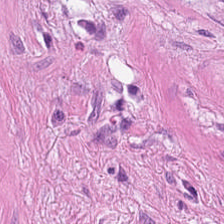Brightfield. H&E.
Tissue class — muscularis.
